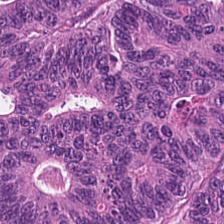H&E-stained tissue section · FFPE. Q: What type of tissue is this?
A: It is colorectal adenocarcinoma.
